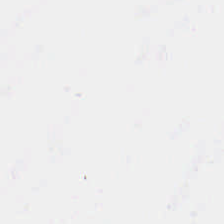0.5 µm/px · H&E stain.
Classification — background.
